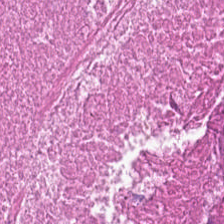Cellular debris.
